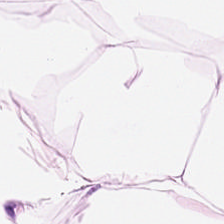Hematoxylin-and-eosin stained section. 0.5 µm per pixel — Q: Classify this patch.
A: It is adipose tissue.
